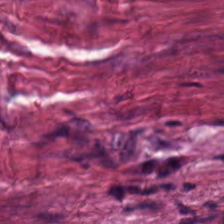Hematoxylin and eosin · FFPE tissue section. {"tissue_type": "cancer-associated stroma"}
